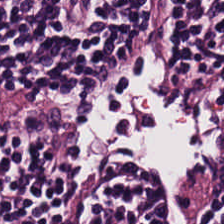FFPE tissue section. Hematoxylin and eosin. 224×224 pixel tile. The tissue here is lymphocytic infiltrate.
